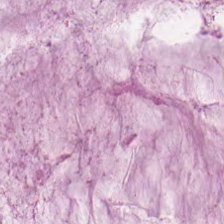Hematoxylin and eosin; brightfield microscopy — This patch shows mucin.
